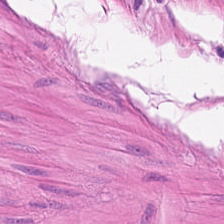Hematoxylin and eosin. 224×224 px tile.
Predominantly smooth-muscle tissue.
